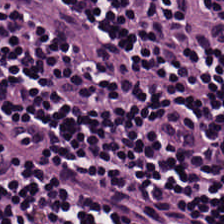Lymphocyte aggregate.
